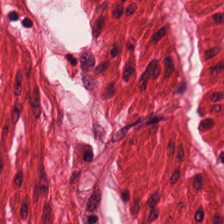The predominant tissue is muscularis.
